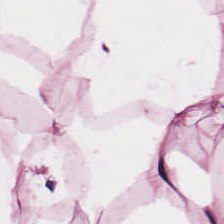H&E-stained tissue section. 20× equivalent magnification — Impression → fat tissue.
